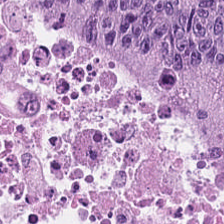H&E — malignant epithelium.
